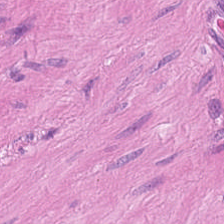Hematoxylin and eosin. 0.5 µm per pixel. Brightfield microscopy.
Smooth muscle.
